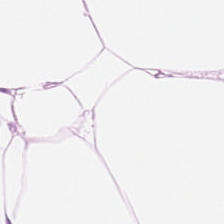H&E. Q: Identify the tissue.
A: This is adipose tissue.
